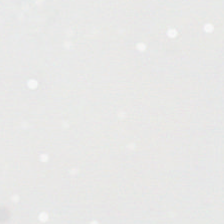Finding → background.
